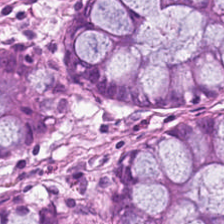H&E.
Finding → normal colonic mucosa.
